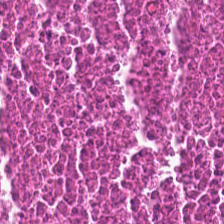Brightfield; hematoxylin-and-eosin stained section. Necrotic debris.
